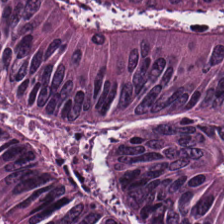224×224 px tile. FFPE. H&E-stained tissue section.
Histology — tumor epithelium.
